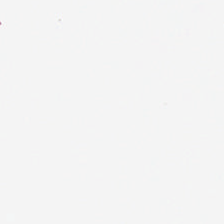Hematoxylin and eosin.
Empty background.
